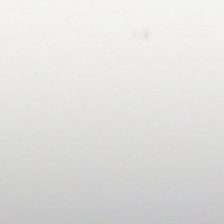Stain: hematoxylin-and-eosin stained section.
Content: background (no tissue).
